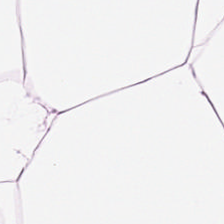H&E. FFPE — Showing adipose.
